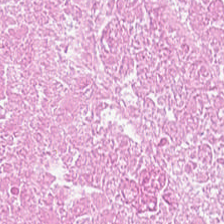FFPE. 0.5 microns per pixel. H&E.
Tissue = debris.
